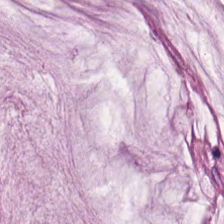Q: What is the predominant tissue type?
A: This is mucin.
